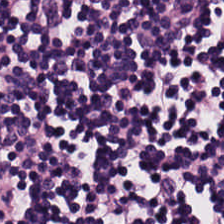Hematoxylin and eosin — Predominant tissue = lymphocytic infiltrate.
